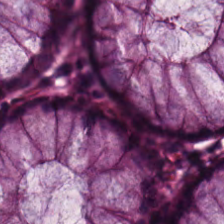Normal colon mucosa.
